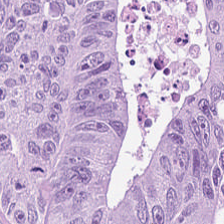The tissue is adenocarcinoma.
